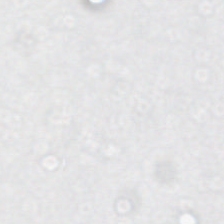H&E-stained tissue section.
Q: What is shown here?
A: The field shows background (no tissue).
